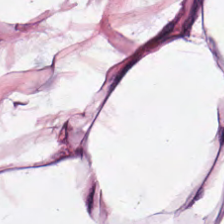0.5 µm/px · H&E stain · 224×224 pixel tile — Adipose.
